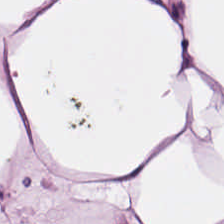Hematoxylin-and-eosin stained section · 224×224 px tile — Tissue type: adipose tissue.
